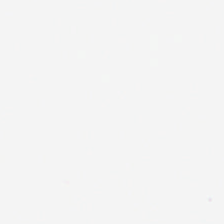224×224 px patch. H&E-stained tissue section. Q: What is shown in this field?
A: Background (no tissue).
